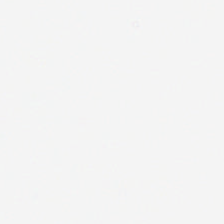H&E. Q: What does this patch show?
A: It is background.
